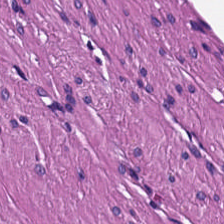0.5 µm/px. H&E-stained tissue section.
Tissue = smooth-muscle tissue.
